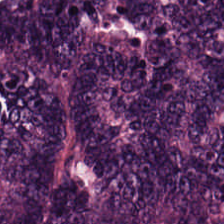224×224 pixel tile. FFPE. H&E — Q: Identify the tissue.
A: Tumor epithelium.
